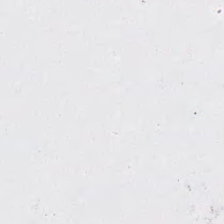H&E-stained tissue section. Empty field — background (no tissue).
